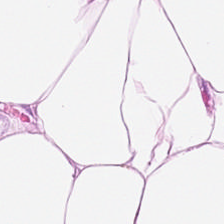Hematoxylin and eosin. Classification = adipocytes.
